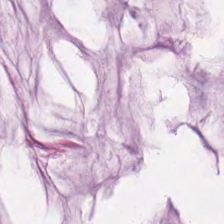H&E — mucus.
